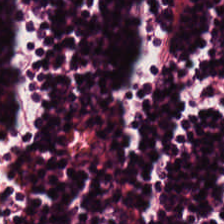H&E.
Tissue — lymphocyte aggregate.
